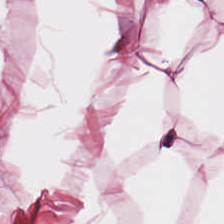Hematoxylin-and-eosin stained section.
{"tissue_type": "adipose"}
